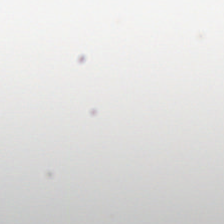Field content = no tissue.
